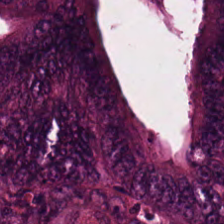H&E stain. Showing colorectal adenocarcinoma epithelium.
